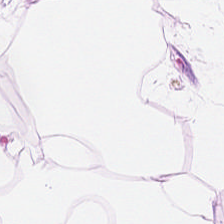Stain: hematoxylin and eosin.
Tissue type: adipocytes.
